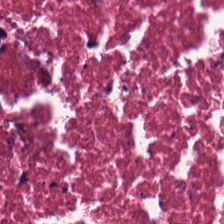Hematoxylin and eosin. Histology — debris.
